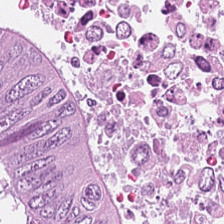H&E-stained tissue section — Impression → colorectal adenocarcinoma.
